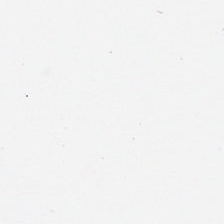0.5 µm/px · hematoxylin and eosin · formalin-fixed paraffin-embedded section.
Classification: background (no tissue).
